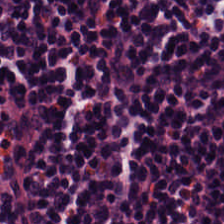224×224 px patch · H&E stain · 0.5 µm/px. Showing lymphocyte aggregate.
